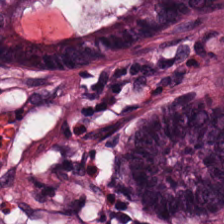Stain: H&E stain.
Tissue type: normal colonic mucosa.
